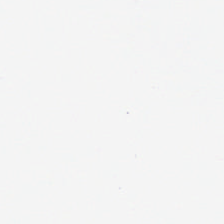Q: What is shown here?
A: Background (no tissue).
